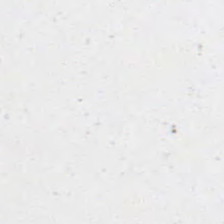Hematoxylin-and-eosin stained section. 20× equivalent magnification — Background — no tissue in this field.
